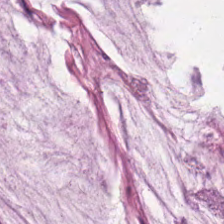H&E-stained tissue section; 224×224 pixel tile.
The tissue is mucin.
